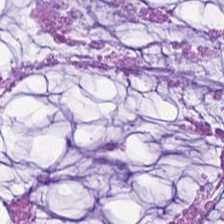Hematoxylin and eosin. Predominantly mucus.
